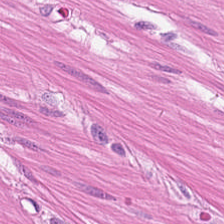Hematoxylin-and-eosin stained section — {"tissue_type": "smooth-muscle tissue"}
